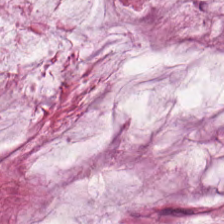H&E stain. The tissue type is extracellular mucin.
